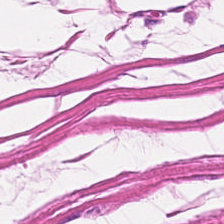Tissue type = smooth-muscle tissue.
